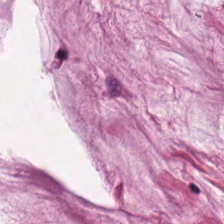H&E-stained tissue section.
This field is mucus.
